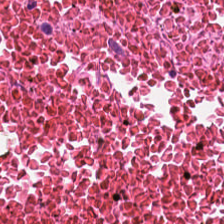WSI patch. Hematoxylin and eosin. FFPE.
Q: What type of tissue is this?
A: The field shows cellular debris.
